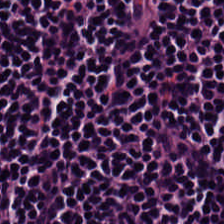H&E; brightfield. {"tissue_type": "lymphocyte aggregate"}
